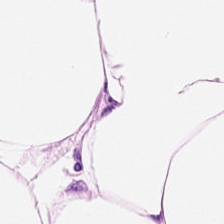WSI patch. H&E stain.
The tissue type is fat tissue.
